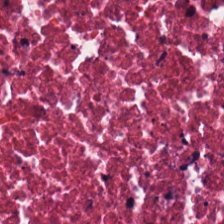H&E stain — Tissue class: debris.
